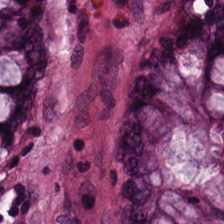H&E · whole-slide-image patch.
Showing benign colonic mucosa.
